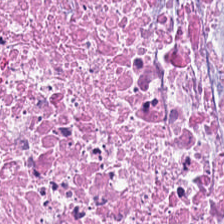Hematoxylin-and-eosin stained section · FFPE tissue section. Q: What does this patch show?
A: This is necrotic debris.
